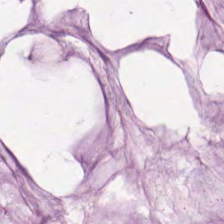The classification is mucin.
